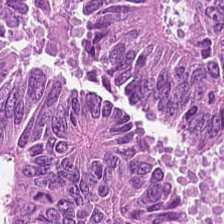Stain: hematoxylin-and-eosin stained section.
Tissue type: tumor epithelium.
